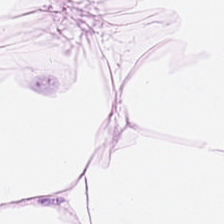Stain: hematoxylin and eosin.
Tissue: fat tissue.
